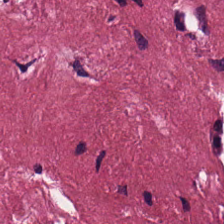224×224 px patch; FFPE tissue section; H&E-stained tissue section.
Tissue type: tumor-associated stroma.
